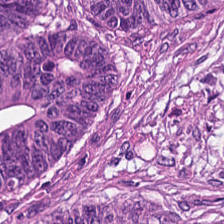0.5 µm per pixel · H&E — Tissue type: colorectal adenocarcinoma.
